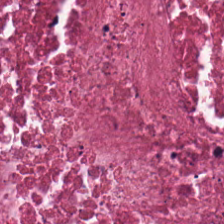FFPE tissue section; hematoxylin and eosin. The tissue here is debris.
